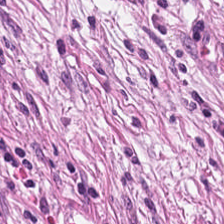H&E stain; brightfield microscopy — Q: What does this patch show?
A: Tumor stroma.
